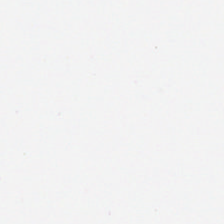Brightfield microscopy. Hematoxylin-and-eosin stained section. 0.5 µm/px.
Field content — no tissue.
